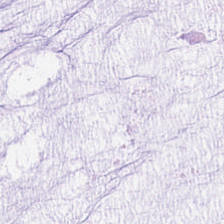Hematoxylin and eosin. {"tissue_type": "extracellular mucin"}
